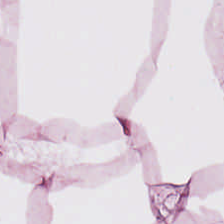Q: Identify the tissue.
A: Fat tissue.
